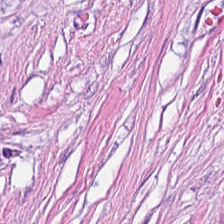Q: Classify this patch.
A: Cancer-associated stroma.
